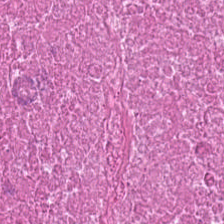Hematoxylin and eosin — Tissue = debris.
